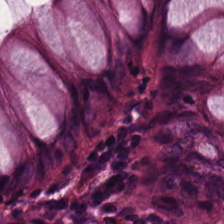H&E.
Showing benign colonic mucosa.
